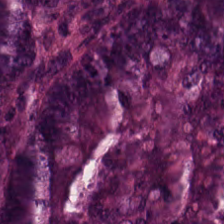0.5 µm per pixel; H&E. {"tissue_type": "malignant epithelium"}
